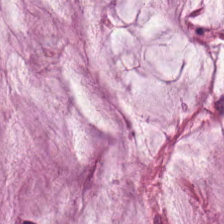H&E — Showing mucin.
